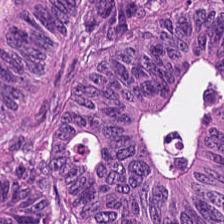Tissue class = tumor epithelium.
